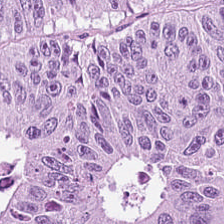0.5 µm/px; hematoxylin-and-eosin stained section.
Finding — adenocarcinoma.
